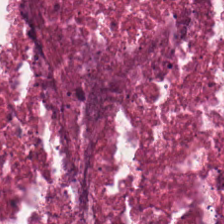Hematoxylin and eosin · 0.5 µm/px. This field is cellular debris.
